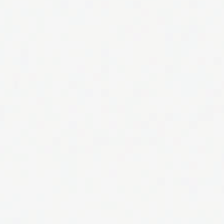Hematoxylin-and-eosin stained section.
Histology → background.
